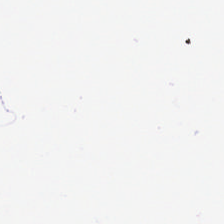Stain: H&E stain.
Field content: empty background.
